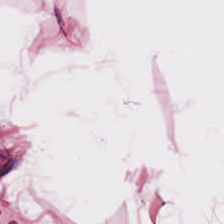H&E. Tissue: fat tissue.
